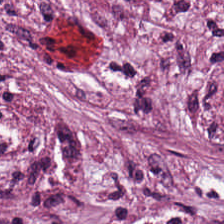Q: What tissue type is shown here?
A: Cancer-associated stroma.
